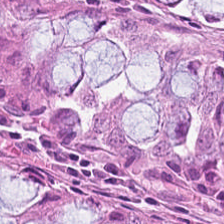H&E.
Predominant tissue: normal colon mucosa.
